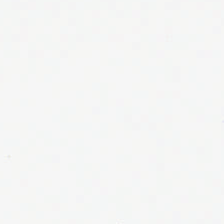H&E-stained tissue section. Brightfield. FFPE. {"content": "background"}
